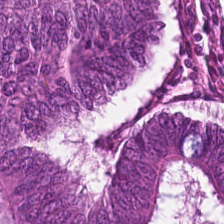Stain: hematoxylin and eosin.
Tissue type: colorectal adenocarcinoma.
